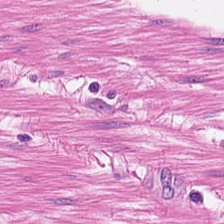H&E-stained tissue section.
This patch shows smooth-muscle tissue.
